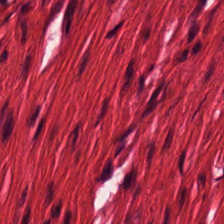Stain: hematoxylin and eosin.
Classification: smooth-muscle tissue.
